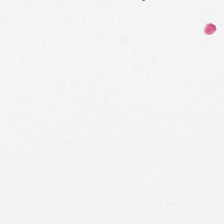This patch shows empty background.
